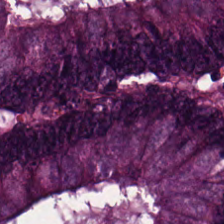0.5 microns per pixel; hematoxylin-and-eosin stained section; WSI patch.
The predominant tissue is malignant epithelium.
